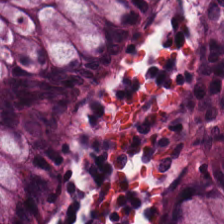Hematoxylin-and-eosin stained section. Showing normal colon mucosa.
